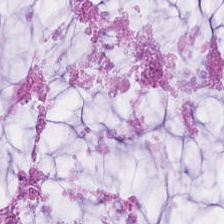Stain: hematoxylin-and-eosin stained section.
Resolution: 20× equivalent magnification.
Classification: mucin.
